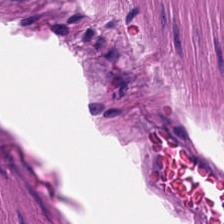Hematoxylin and eosin.
The tissue type is smooth muscle.
